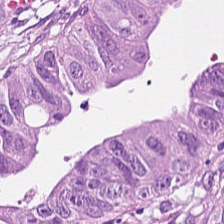WSI patch · hematoxylin-and-eosin stained section — Predominantly colorectal adenocarcinoma.
